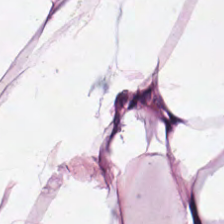H&E-stained tissue section — This patch shows adipose tissue.
